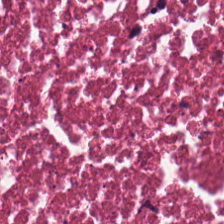Hematoxylin-and-eosin stained section — This patch shows debris.
